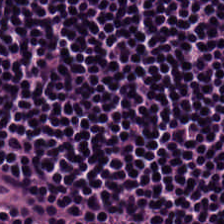H&E-stained tissue section. Predominant tissue — lymphocytes.
